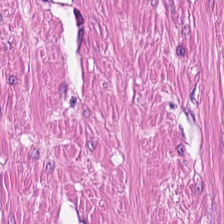The tissue class is smooth muscle.
